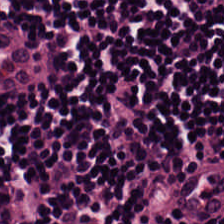Hematoxylin-and-eosin stained section; brightfield microscopy.
Q: Classify this patch.
A: Lymphocytic infiltrate.
